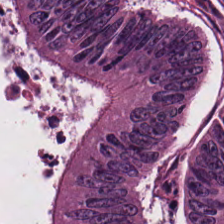This patch shows colorectal adenocarcinoma epithelium.
